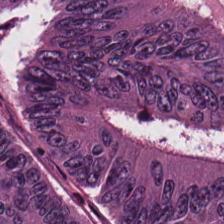The tissue type is colorectal adenocarcinoma epithelium.
